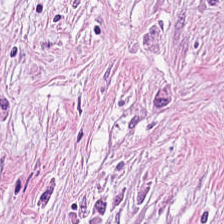H&E-stained tissue section — Predominantly desmoplastic stroma.
